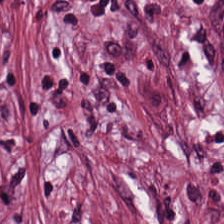Tumor-associated stroma.
